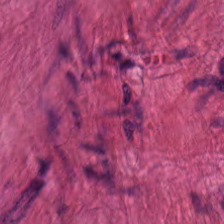WSI patch · H&E stain. This patch shows smooth muscle.
